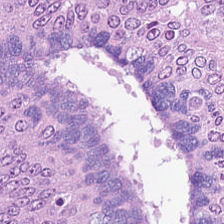This field is adenocarcinoma.
